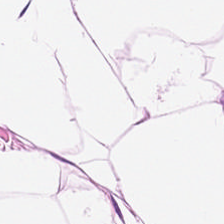Showing adipocytes.
